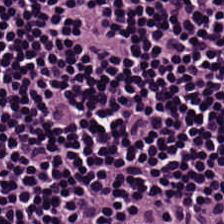H&E stain. FFPE tissue section. The classification is lymphoid infiltrate.
